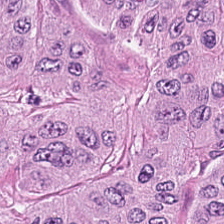Classification = tumor epithelium.
